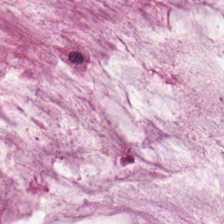Q: What is the predominant tissue type?
A: This is extracellular mucin.
